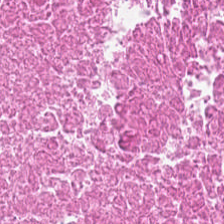H&E. Tissue class: cellular debris.
